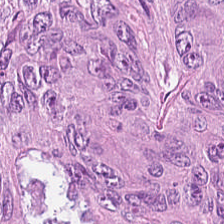H&E. The predominant tissue is malignant epithelium.
